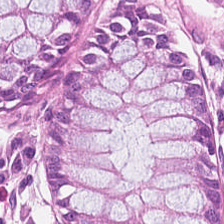Whole-slide-image patch; H&E-stained tissue section.
Finding → benign colonic mucosa.
